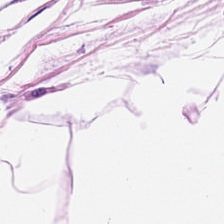Hematoxylin-and-eosin stained section — Q: Classify this patch.
A: This is adipose.
